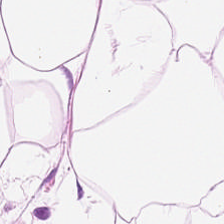Hematoxylin-and-eosin stained section. Q: What tissue is shown?
A: It is fat tissue.
